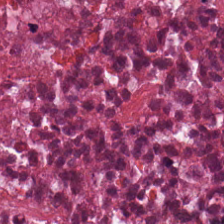Hematoxylin and eosin.
Q: What is shown in this field?
A: It is debris.
